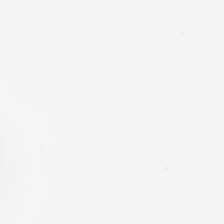H&E stain — Impression → background.
